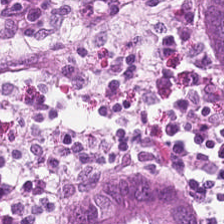H&E; 0.5 µm per pixel — Predominant tissue — non-neoplastic colon mucosa.
